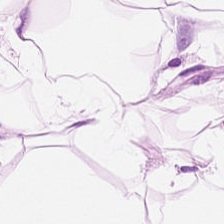Q: What is shown here?
A: The field shows adipocytes.
